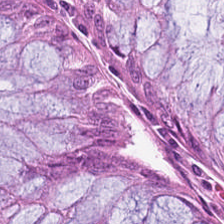Formalin-fixed paraffin-embedded section; H&E stain — Predominant tissue = non-neoplastic colon mucosa.
